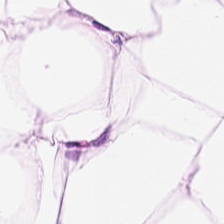H&E stain; FFPE tissue section — The predominant tissue is adipocytes.
